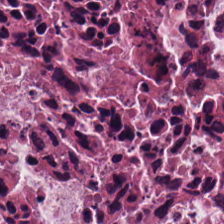Hematoxylin and eosin · WSI patch — Tissue = necrotic debris.
